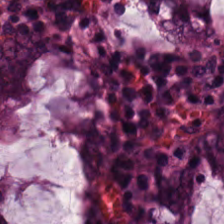H&E-stained tissue section showing normal colon mucosa.
